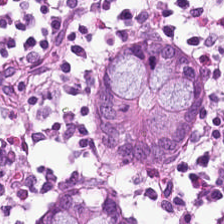Finding → benign colonic mucosa.
